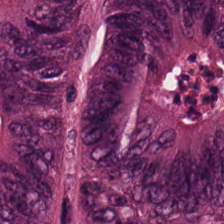Stain: H&E-stained tissue section.
Tissue: colorectal adenocarcinoma.
